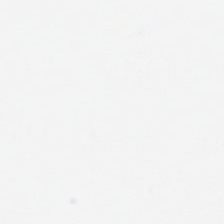Content: empty background.
